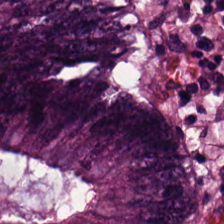Stain: hematoxylin-and-eosin stained section.
Classification: tumor epithelium.
